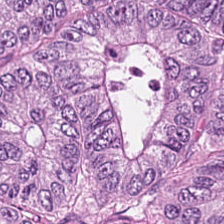H&E stain. Q: What is the predominant tissue type?
A: The field shows adenocarcinoma.
